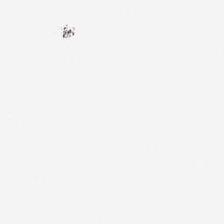H&E. Q: What is shown in this field?
A: This is empty background.
